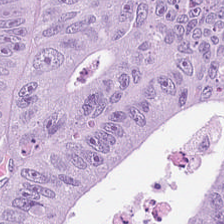Q: What is shown here?
A: This is colorectal adenocarcinoma epithelium.
